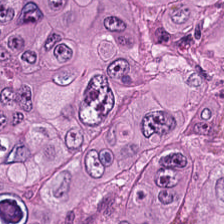H&E-stained tissue section. The tissue class is malignant epithelium.
